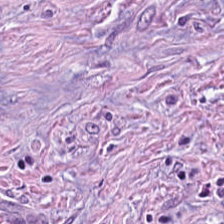H&E-stained tissue section. WSI patch. {"tissue_type": "desmoplastic stroma"}
